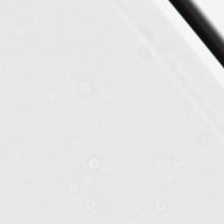This field is background (no tissue).
